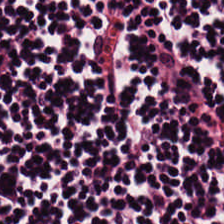Hematoxylin-and-eosin stained section. WSI patch. 0.5 µm/px — Showing lymphoid infiltrate.
